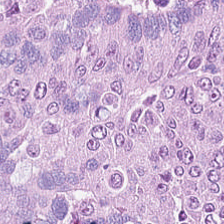Hematoxylin and eosin.
The tissue here is adenocarcinoma.
